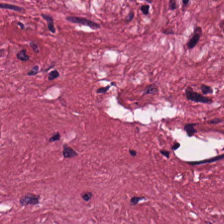Hematoxylin and eosin. Tissue class: tumor-associated stroma.
